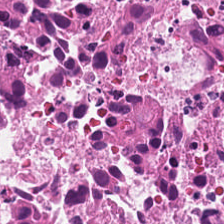H&E stain; 224×224 pixel tile — {"tissue_type": "necrotic debris"}
